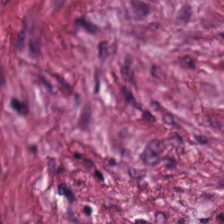224×224 px patch. H&E-stained tissue section — Q: Identify the tissue.
A: This is tumor stroma.
